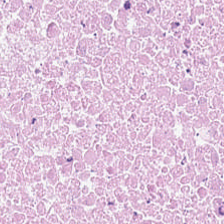Predominantly debris.
